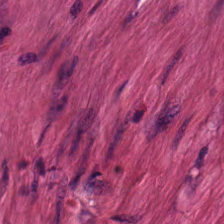Formalin-fixed paraffin-embedded section. H&E stain — Muscularis.
